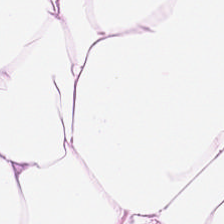Hematoxylin and eosin.
Showing adipose tissue.
